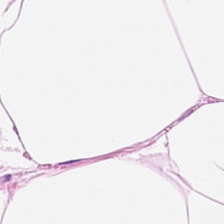H&E.
Showing adipose.
